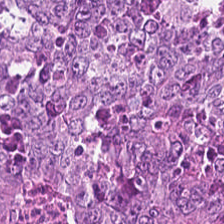H&E stain. 224×224 px tile. This field is adenocarcinoma.
